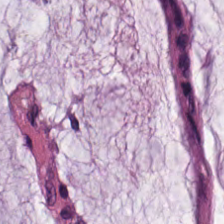0.5 µm/px; H&E stain. Predominantly extracellular mucin.
